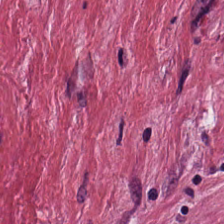Hematoxylin and eosin; WSI patch; 224×224 px tile — Predominantly cancer-associated stroma.
